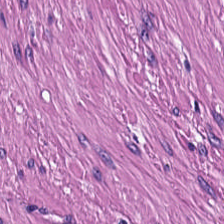H&E-stained tissue section; FFPE. Q: What is the predominant tissue type?
A: This is muscularis.
